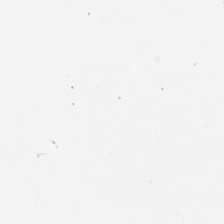H&E · FFPE tissue section · 0.5 µm per pixel — Q: What is shown here?
A: Background.
